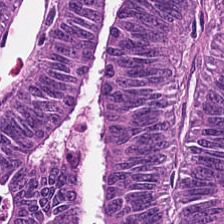Stain: H&E stain.
Predominant tissue: malignant epithelium.
